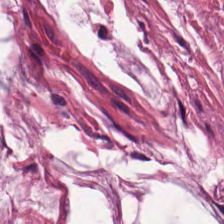H&E-stained tissue section; FFPE tissue section.
The tissue here is mucus.
